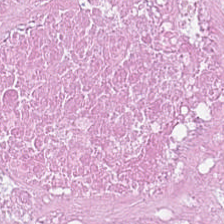Hematoxylin-and-eosin stained section · 224×224 px patch · 0.5 µm/px.
{"tissue_type": "debris"}
